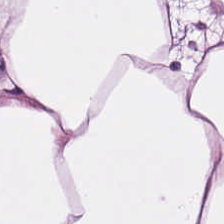H&E stain. Q: Classify this patch.
A: The field shows adipocytes.
